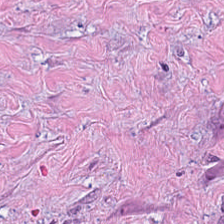Hematoxylin and eosin. Finding — tumor stroma.
